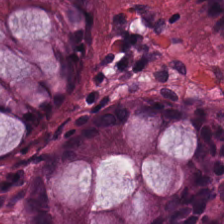H&E.
The tissue here is non-neoplastic colon mucosa.
